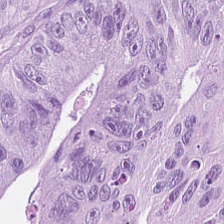H&E-stained tissue section. 224×224 pixel tile. Brightfield microscopy.
Tissue type = adenocarcinoma.
